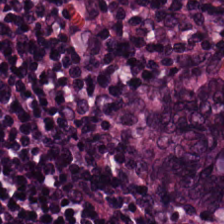This patch shows lymphoid infiltrate.
